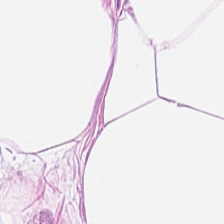Stain: H&E-stained tissue section.
Acquisition: WSI patch.
Preparation: FFPE.
Tissue: adipocytes.
